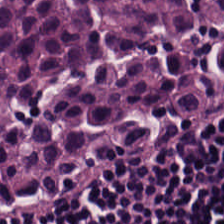{"tissue_type": "lymphocytic infiltrate"}
